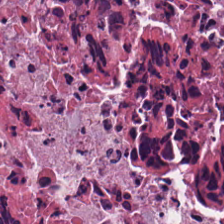H&E. WSI patch. 0.5 microns per pixel — The tissue type is necrotic debris.
